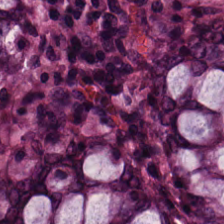Predominantly benign colonic mucosa.
